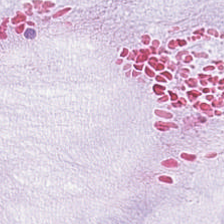H&E stain; 224×224 px tile. Impression — extracellular mucin.
